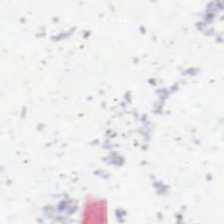Content: empty background.
